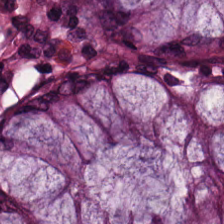Brightfield microscopy · H&E stain.
The tissue here is normal colon mucosa.
